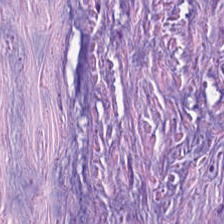20× equivalent magnification · H&E stain — Predominant tissue — cancer-associated stroma.
